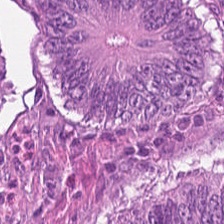FFPE; 224×224 px patch; H&E stain.
Classification: colorectal adenocarcinoma.
